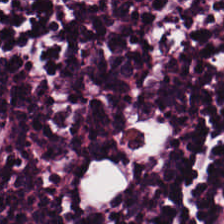H&E stain. The predominant tissue is lymphocyte aggregate.
